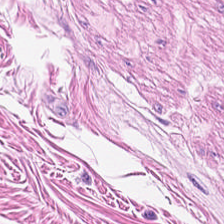H&E patch showing smooth muscle.
